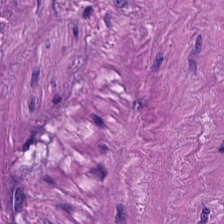WSI patch; H&E stain — Tissue class = smooth-muscle tissue.
